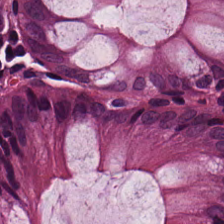0.5 microns per pixel; 224×224 pixel tile; hematoxylin-and-eosin stained section. Predominant tissue: normal colon mucosa.
